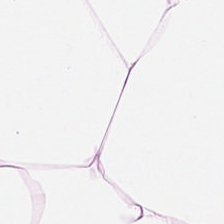{"tissue_type": "fat tissue"}
